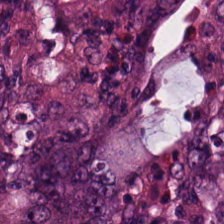H&E-stained tissue section. {"tissue_type": "colorectal adenocarcinoma epithelium"}
